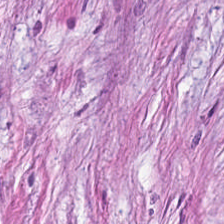0.5 microns per pixel. 224×224 px patch. Hematoxylin-and-eosin stained section — Q: What is shown in this field?
A: This is tumor stroma.
